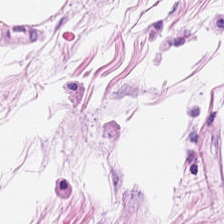H&E stain. FFPE.
Impression → fat tissue.
